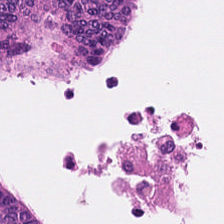Whole-slide-image patch. H&E stain. FFPE.
Histology → tumor epithelium.
